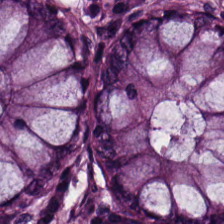Hematoxylin-and-eosin stained section — Showing normal colonic mucosa.
